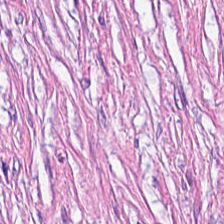H&E stain.
Histology → tumor stroma.
